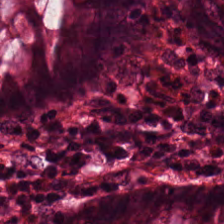Hematoxylin-and-eosin stained section · 0.5 µm per pixel. This patch shows normal colonic mucosa.
